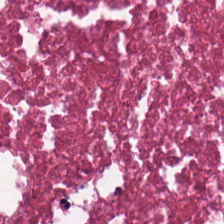Stain: H&E-stained tissue section.
Preparation: formalin-fixed paraffin-embedded section.
Classification: debris.
